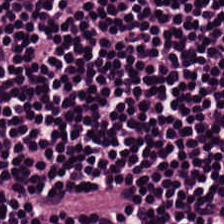Q: What tissue is shown?
A: The field shows lymphocytic infiltrate.
